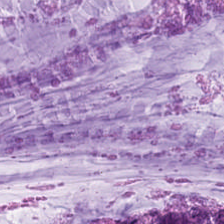Hematoxylin-and-eosin stained section · brightfield · formalin-fixed paraffin-embedded section. {"tissue_type": "mucus"}
